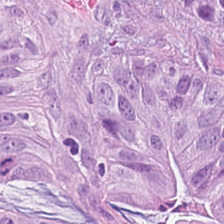The classification is tumor epithelium.
